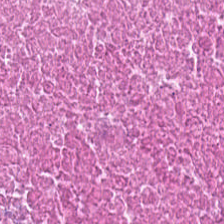Classification = debris.
